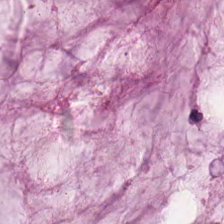Q: What is shown in this field?
A: The field shows extracellular mucin.
